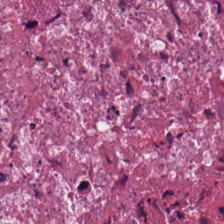H&E-stained tissue section — Showing debris.
